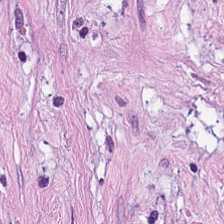0.5 µm per pixel; H&E stain; FFPE tissue section. Showing desmoplastic stroma.
